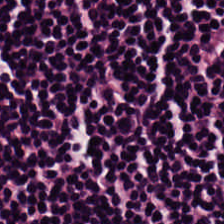H&E — The predominant tissue is lymphocytes.
